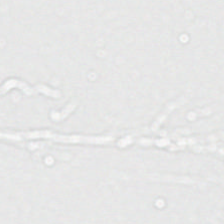Hematoxylin and eosin.
This field is background (no tissue).
